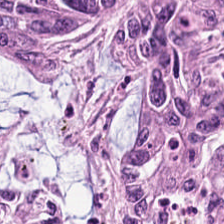Hematoxylin-and-eosin stained section — The tissue class is adenocarcinoma.
